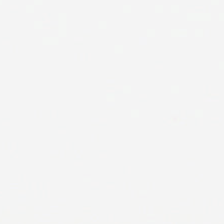H&E.
Finding — empty background.
